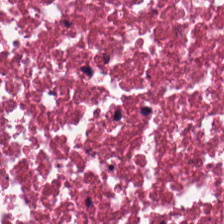WSI patch · H&E stain. Q: What does this patch show?
A: The field shows debris.
